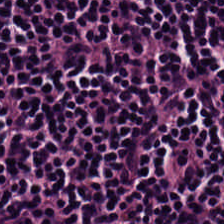H&E stain. FFPE — Tissue class: lymphocytic infiltrate.
